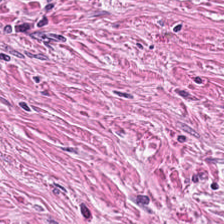Hematoxylin-and-eosin stained section; 0.5 µm/px. Tissue class — desmoplastic stroma.
